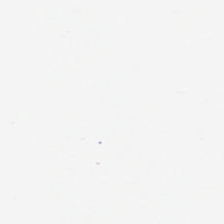Hematoxylin and eosin — Empty field — background.
